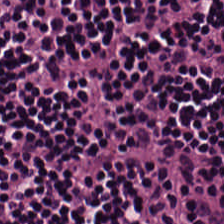H&E stain; formalin-fixed paraffin-embedded section; whole-slide-image patch — Impression — lymphoid infiltrate.
